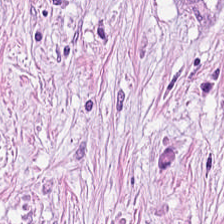Tumor stroma.
